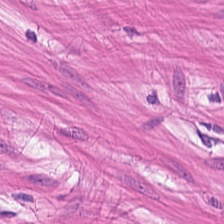H&E — {"tissue_type": "muscularis"}
